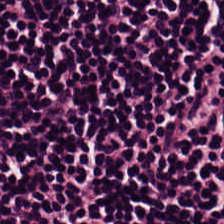Q: Classify this patch.
A: The field shows lymphocytic infiltrate.
